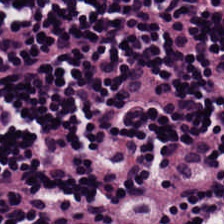Classification = lymphocytic infiltrate.
